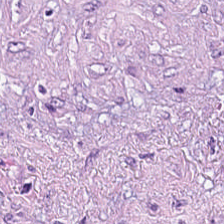Stain: H&E stain.
Tissue: cancer-associated stroma.
